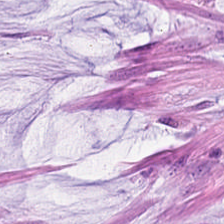H&E-stained tissue section — Extracellular mucin.
